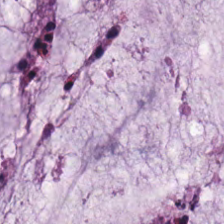H&E stain. 0.5 microns per pixel. Formalin-fixed paraffin-embedded section — Q: What is shown here?
A: It is extracellular mucin.
